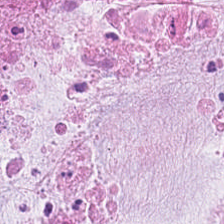H&E-stained tissue section — The tissue here is mucin.
